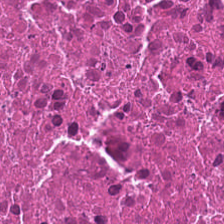H&E stain. The predominant tissue is debris.
